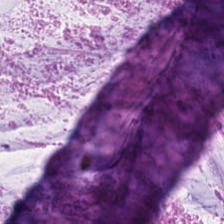Hematoxylin and eosin; FFPE; 0.5 µm per pixel. Tissue class: mucus.
